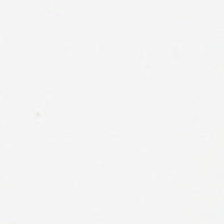The content is background.
